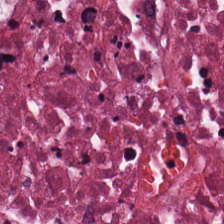Stain: H&E stain.
Tissue: cellular debris.
